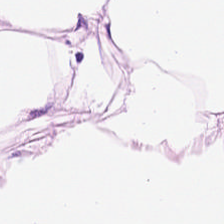Hematoxylin-and-eosin stained section; brightfield microscopy.
Tissue = adipose.
